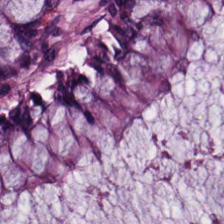Hematoxylin and eosin — Classification: benign colonic mucosa.
